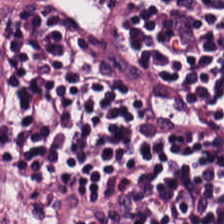Formalin-fixed paraffin-embedded section · brightfield · H&E stain.
Q: Classify this patch.
A: It is lymphocytic infiltrate.
